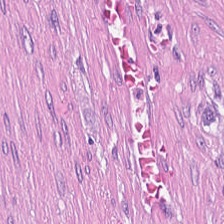Predominantly tumor stroma.
